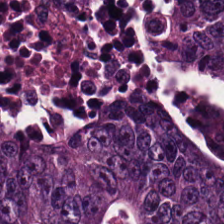H&E-stained tissue section. 0.5 µm per pixel — Predominantly tumor epithelium.
